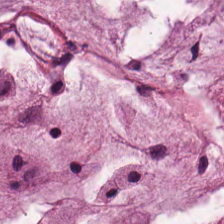Mucus.
